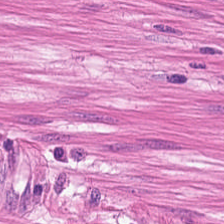Hematoxylin and eosin — {"tissue_type": "smooth muscle"}
